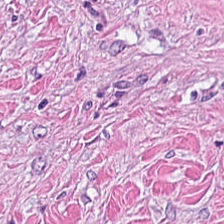Hematoxylin-and-eosin section: cancer-associated stroma.
